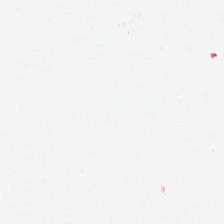Stain: H&E.
Classification: empty background.
